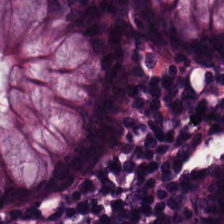H&E. Whole-slide-image patch. Q: What does this patch show?
A: This is non-neoplastic colon mucosa.
